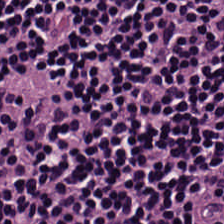H&E-stained tissue section · FFPE tissue section — The predominant tissue is lymphoid infiltrate.
